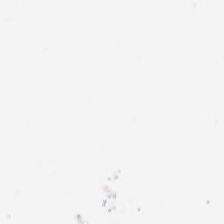H&E. 20× equivalent magnification — Impression — background.
